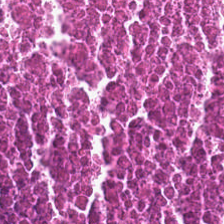H&E-stained tissue section; 224×224 px tile; 0.5 µm/px. Q: What is shown in this field?
A: It is debris.
